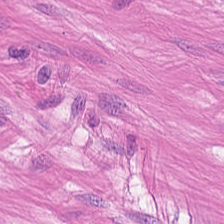H&E patch showing muscularis.
